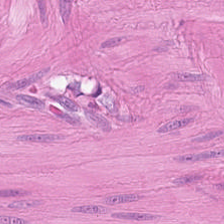Hematoxylin and eosin. Finding → muscularis.
